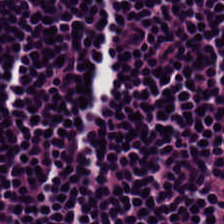224×224 pixel tile · H&E.
This field is lymphocyte aggregate.
